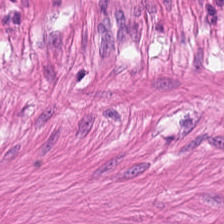Predominant tissue: smooth muscle.
